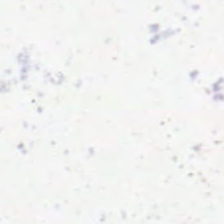Hematoxylin-and-eosin stained section — Q: Classify this patch.
A: It is empty background.
